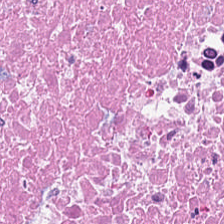H&E stain; whole-slide-image patch.
Classification = necrotic debris.
